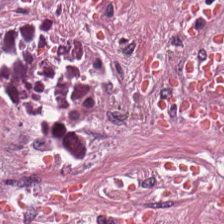Classification = tumor stroma.
